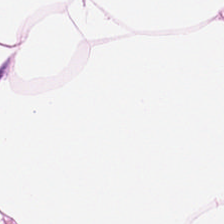FFPE tissue section. Hematoxylin and eosin.
{"tissue_type": "adipocytes"}
